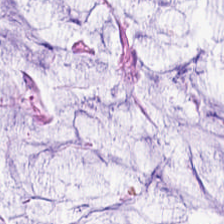Hematoxylin-and-eosin stained section — Q: What does this patch show?
A: This is mucus.
